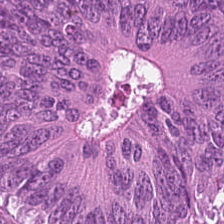0.5 µm/px. H&E stain — Tissue — malignant epithelium.
